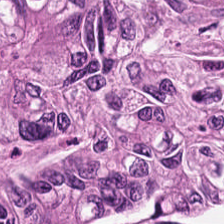Hematoxylin-and-eosin stained section · 0.5 µm/px · 224×224 px patch.
The tissue here is colorectal adenocarcinoma epithelium.
